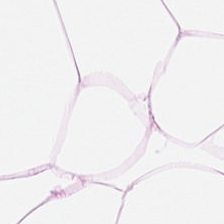0.5 µm per pixel; H&E-stained tissue section — Predominantly fat tissue.
